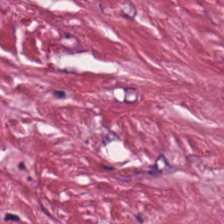Formalin-fixed paraffin-embedded section. H&E stain. Q: What does this patch show?
A: Tumor-associated stroma.
